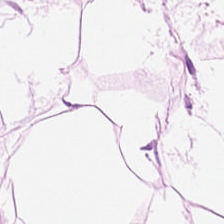Hematoxylin and eosin.
Finding → fat tissue.
